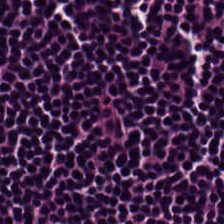The tissue here is lymphocytic infiltrate.
